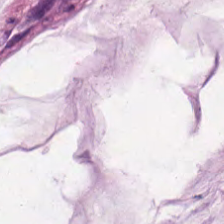H&E stain.
Q: What is shown in this field?
A: Extracellular mucin.
